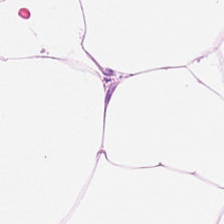H&E-stained tissue section.
Histology → fat tissue.
